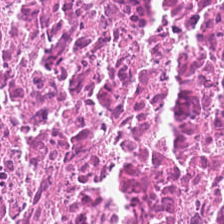Stain: hematoxylin-and-eosin stained section.
Tissue: necrotic debris.
